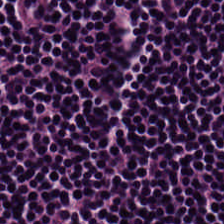Q: What is the predominant tissue type?
A: Lymphoid infiltrate.
